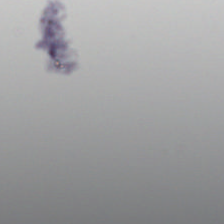H&E. This field is background (no tissue).
